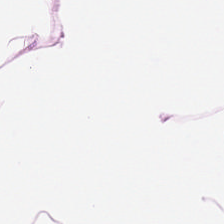Q: What type of tissue is this?
A: The field shows adipose tissue.
